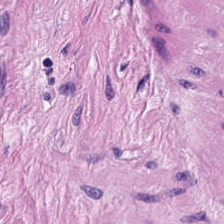H&E stain.
This patch shows muscularis.
